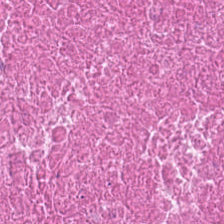Stain: H&E-stained tissue section.
Tile size: 224×224 px tile.
Predominant tissue: debris.
